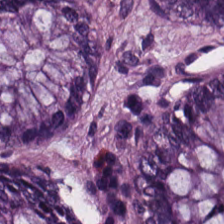H&E patch showing normal colon mucosa.
